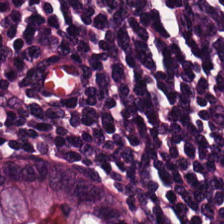H&E stain; brightfield microscopy. The tissue here is lymphocytic infiltrate.
